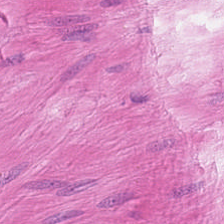Classification — smooth muscle.
